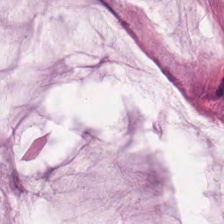H&E. Whole-slide-image patch.
The tissue class is extracellular mucin.
